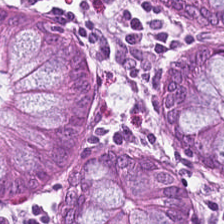Showing benign colonic mucosa.
